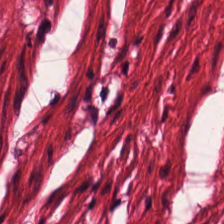Hematoxylin-and-eosin stained section · formalin-fixed paraffin-embedded section · 224×224 px patch.
The predominant tissue is muscularis.
